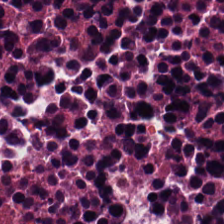Hematoxylin and eosin — Impression — cellular debris.
